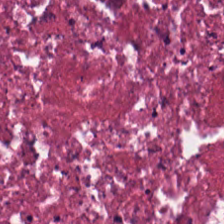H&E — debris.
